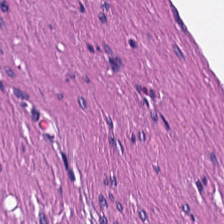Hematoxylin and eosin. Predominant tissue = muscularis.
